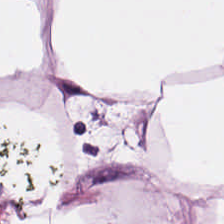{"tissue_type": "fat tissue"}
